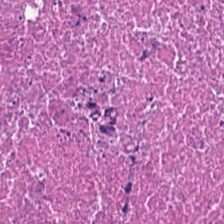Hematoxylin-and-eosin stained section — Debris.
